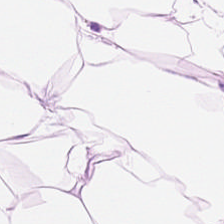Hematoxylin and eosin.
{"tissue_type": "adipose"}
